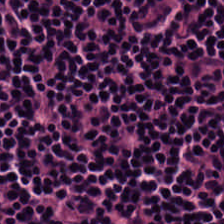Hematoxylin-and-eosin stained section.
Q: What is the predominant tissue type?
A: Lymphoid infiltrate.
